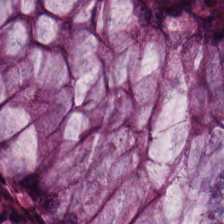{"tissue_type": "normal colonic mucosa"}
